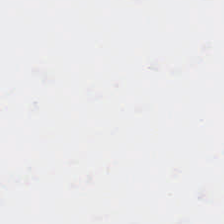H&E stain · whole-slide-image patch · 0.5 microns per pixel — Q: What is shown here?
A: The field shows background.
